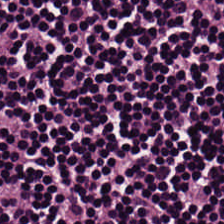Q: What is shown in this field?
A: This is lymphoid infiltrate.
